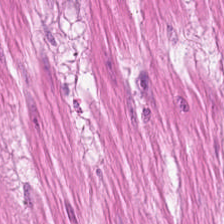H&E-stained tissue section. This patch shows smooth-muscle tissue.
